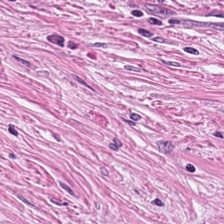This patch shows cancer-associated stroma.
